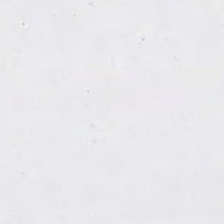H&E.
Q: What does this patch show?
A: The field shows empty background.
